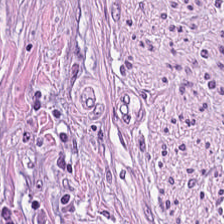224×224 pixel tile · H&E-stained tissue section.
The tissue is tumor stroma.
